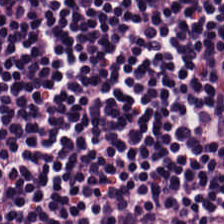Impression — lymphocytes.
